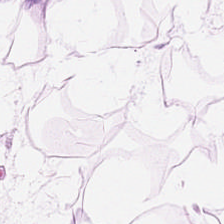H&E-stained tissue section.
Tissue class = fat tissue.
